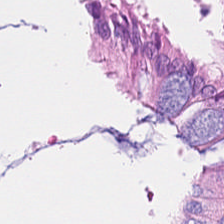Hematoxylin and eosin · 224×224 px patch — Q: What tissue is shown?
A: This is normal colonic mucosa.
